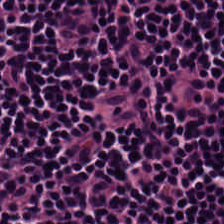Hematoxylin-and-eosin stained section.
Q: What is shown in this field?
A: The field shows lymphocyte aggregate.
